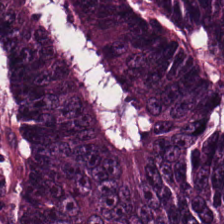Stain: H&E-stained tissue section.
Tissue class: malignant epithelium.
